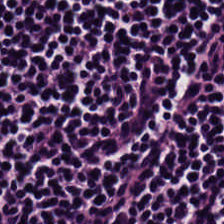Stain: hematoxylin and eosin.
Tissue: lymphocytic infiltrate.
